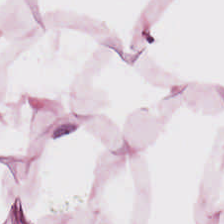Hematoxylin and eosin. Q: What does this patch show?
A: The field shows adipose tissue.
